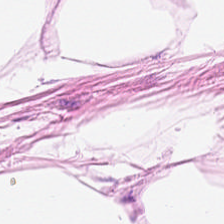{"tissue_type": "adipose"}
